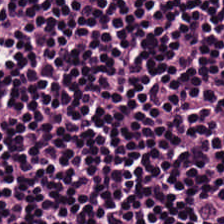Stain: H&E-stained tissue section.
Resolution: 0.5 µm per pixel.
Preparation: FFPE.
Predominant tissue: lymphoid infiltrate.
